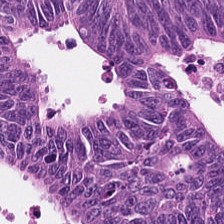FFPE tissue section; whole-slide-image patch; H&E stain — Tumor epithelium.
